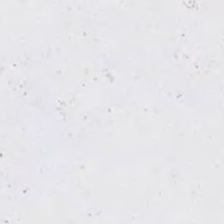Classification — background.
